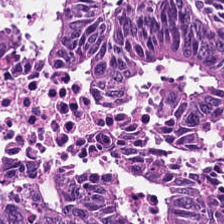Hematoxylin-and-eosin stained section · 224×224 px tile. This field is colorectal adenocarcinoma.
